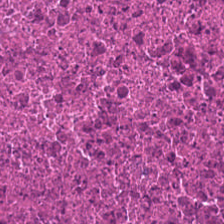Hematoxylin-and-eosin stained section. Brightfield. Classification = necrotic debris.
